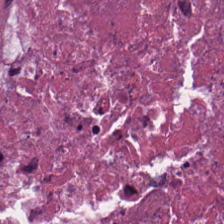Stain: H&E-stained tissue section.
Tissue: necrotic debris.
